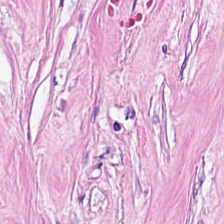Hematoxylin-and-eosin stained section. Q: Classify this patch.
A: The field shows tumor-associated stroma.
